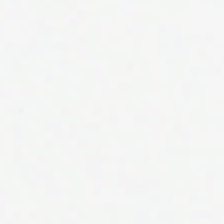Hematoxylin-and-eosin stained section. This patch shows background.
